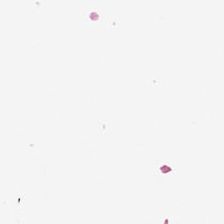H&E — Background.
